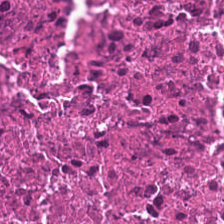H&E · 224×224 pixel tile · formalin-fixed paraffin-embedded section.
Q: Classify this patch.
A: This is debris.
